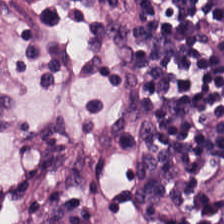Hematoxylin-and-eosin stained section. Tissue — lymphocytic infiltrate.
